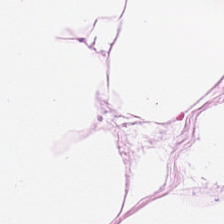224×224 pixel tile; H&E; FFPE. This patch shows adipocytes.
